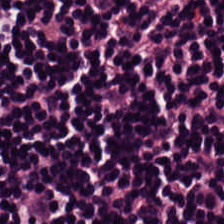Hematoxylin-and-eosin stained section · FFPE tissue section.
This patch shows lymphocytes.
